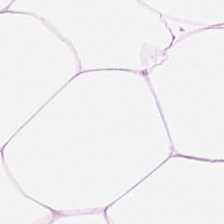{"tissue_type": "fat tissue"}
